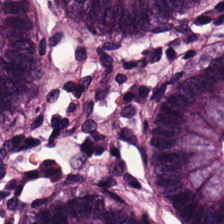Hematoxylin-and-eosin stained section. Whole-slide-image patch. 20× equivalent magnification. The predominant tissue is normal colon mucosa.
